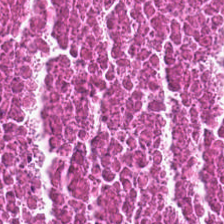H&E stain.
Tissue = debris.
